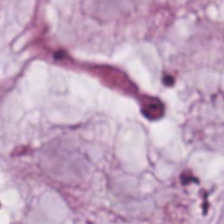Hematoxylin-and-eosin stained section.
Predominant tissue = mucin.
